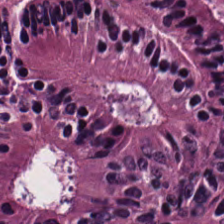Brightfield. H&E-stained tissue section. This field is tumor epithelium.
